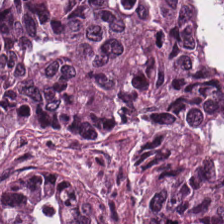Stain: hematoxylin-and-eosin stained section.
Classification: colorectal adenocarcinoma.
